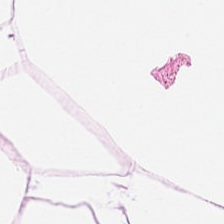224×224 px patch; H&E stain; 0.5 µm/px. Impression → adipose tissue.
